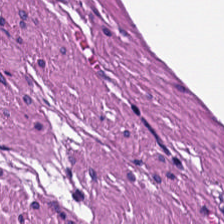Tissue class — smooth-muscle tissue.
